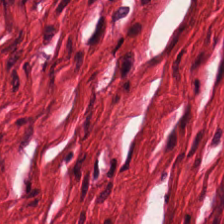H&E.
The tissue type is smooth muscle.
